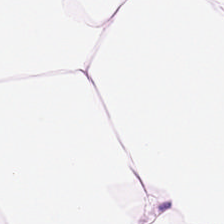H&E stain — Tissue class — fat tissue.
